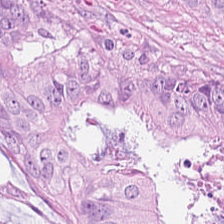Histology → malignant epithelium.
